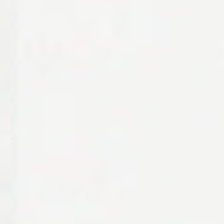0.5 µm/px. FFPE tissue section. H&E-stained tissue section. This patch shows no tissue.
